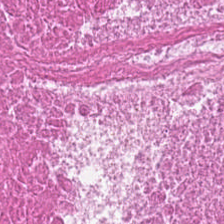Stain: hematoxylin-and-eosin stained section.
Tile size: 224×224 px patch.
Predominant tissue: cellular debris.
